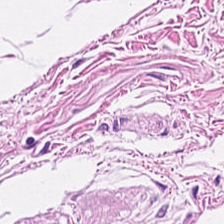This field is smooth-muscle tissue.
